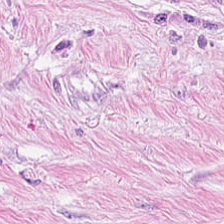0.5 µm per pixel; hematoxylin and eosin; FFPE tissue section — Predominant tissue = tumor stroma.
